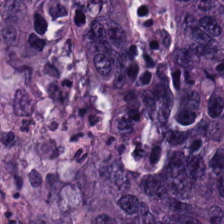Tissue class: malignant epithelium.
